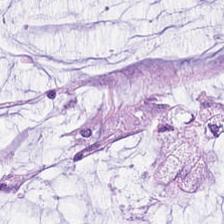Hematoxylin-and-eosin stained section; brightfield microscopy.
Impression → mucin.
